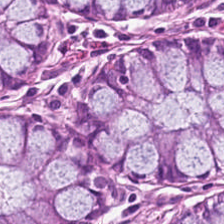FFPE tissue section · hematoxylin and eosin — Q: What is shown in this field?
A: The field shows normal colon mucosa.
